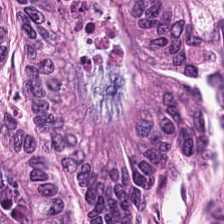Stain: H&E.
Tile size: 224×224 pixel tile.
Acquisition: brightfield microscopy.
Tissue class: colorectal adenocarcinoma.
